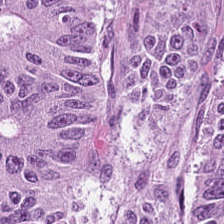FFPE tissue section; 20× equivalent magnification; H&E-stained tissue section — Showing adenocarcinoma.
